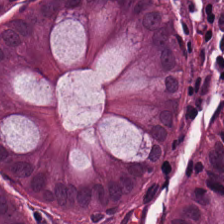H&E stain.
Tissue class: benign colonic mucosa.
